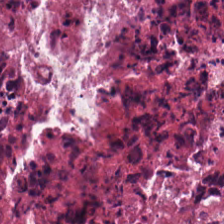Q: What does this patch show?
A: Debris.
